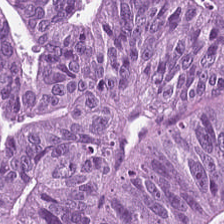Finding → colorectal adenocarcinoma epithelium.
